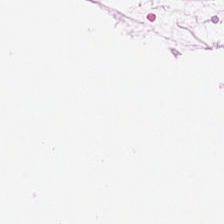{"tissue_type": "adipose"}
